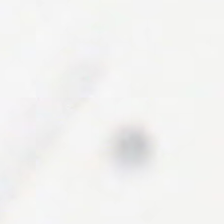H&E-stained tissue section.
Empty field — background.
